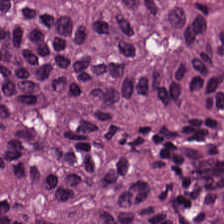Hematoxylin and eosin. Impression → colorectal adenocarcinoma epithelium.
